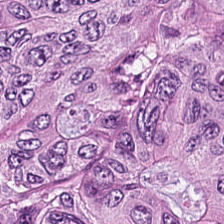Hematoxylin and eosin. Showing adenocarcinoma.
